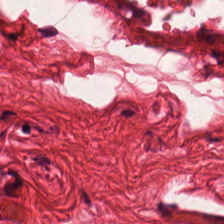The tissue is muscularis.
